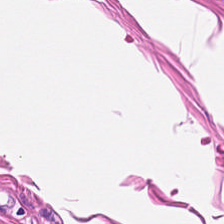Q: Identify the tissue.
A: The field shows smooth muscle.
